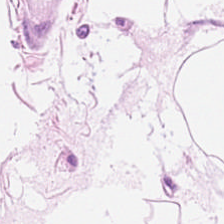224×224 pixel tile; hematoxylin and eosin — The tissue here is adipose.
